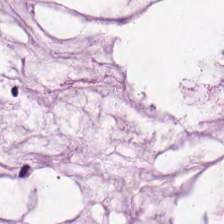Stain: H&E-stained tissue section.
Classification: mucus.
